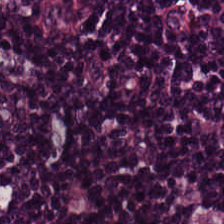Stain: hematoxylin and eosin.
Preparation: formalin-fixed paraffin-embedded section.
Tissue type: lymphocyte aggregate.
